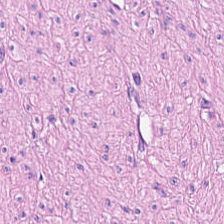Hematoxylin and eosin — Predominantly smooth-muscle tissue.
